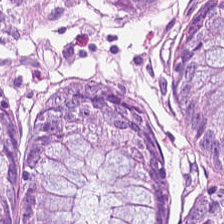H&E-stained tissue section — Classification: normal colon mucosa.
